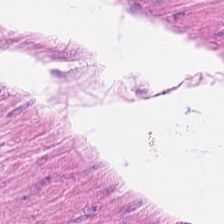Hematoxylin and eosin. The tissue here is muscularis.
